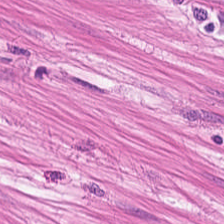Hematoxylin and eosin — The tissue class is muscularis.
